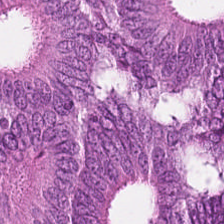H&E stain — Q: What is the predominant tissue type?
A: Tumor epithelium.
